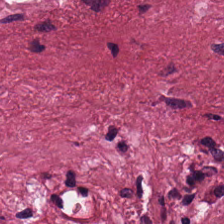Tissue type: tumor-associated stroma.
